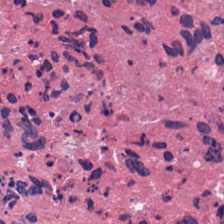Q: Classify this patch.
A: This is cellular debris.
